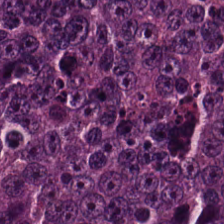Histology — colorectal adenocarcinoma epithelium.
